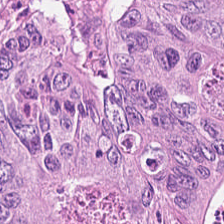H&E-stained tissue section. The tissue class is tumor epithelium.
